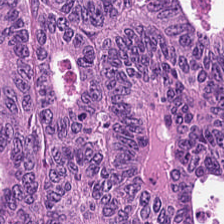Q: What is the predominant tissue type?
A: It is colorectal adenocarcinoma.
